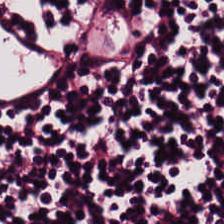The classification is lymphocytes.
